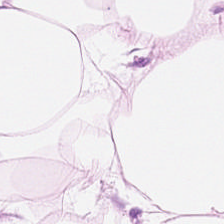224×224 px tile. H&E-stained tissue section — The tissue is adipocytes.
